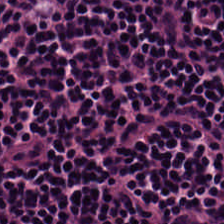Q: What does this patch show?
A: The field shows lymphocytic infiltrate.
